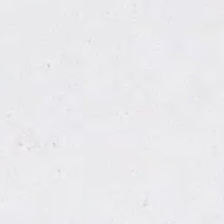Brightfield microscopy; H&E stain — Q: What is shown here?
A: This is background.
